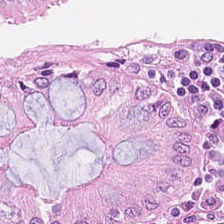Q: What tissue type is shown here?
A: This is normal colonic mucosa.
